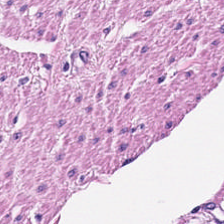Hematoxylin and eosin — The tissue here is smooth muscle.
